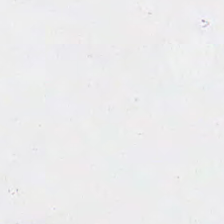Hematoxylin and eosin · formalin-fixed paraffin-embedded section. This field is background (no tissue).
